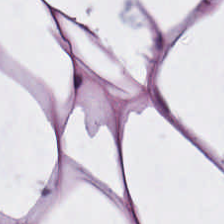20× equivalent magnification; hematoxylin-and-eosin stained section; FFPE — Predominantly adipocytes.
